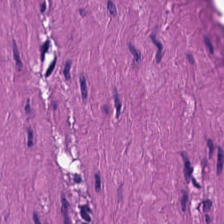Hematoxylin-and-eosin stained section — Tissue = muscularis.
